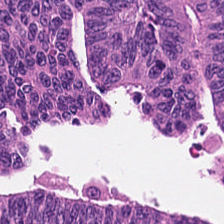Stain: H&E-stained tissue section.
Tile size: 224×224 pixel tile.
Acquisition: WSI patch.
Predominant tissue: tumor epithelium.
